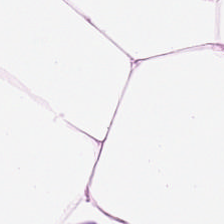Stain: H&E stain.
Tile size: 224×224 px patch.
Preparation: FFPE tissue section.
Tissue: adipose tissue.
